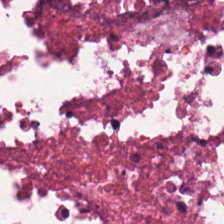H&E-stained tissue section. Histology → cellular debris.
